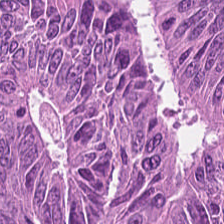Q: What tissue is shown?
A: The field shows tumor epithelium.
